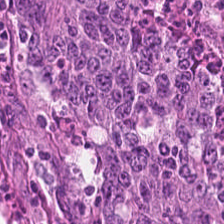224×224 px patch; H&E — Tissue — colorectal adenocarcinoma.
